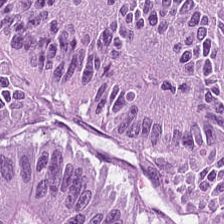Whole-slide-image patch · hematoxylin-and-eosin stained section.
Predominant tissue — colorectal adenocarcinoma epithelium.
